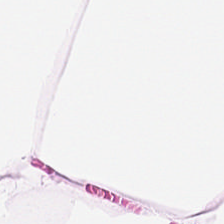{"tissue_type": "fat tissue"}
